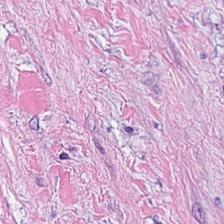Hematoxylin-and-eosin stained section — Histology — desmoplastic stroma.
